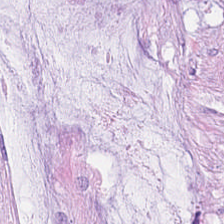Q: What tissue type is shown here?
A: Mucus.
